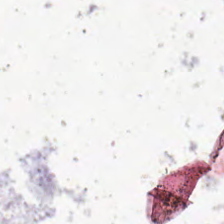Empty field — empty background.
